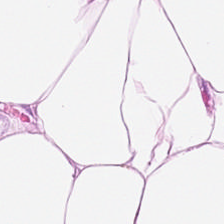H&E stain. Formalin-fixed paraffin-embedded section — Histology → fat tissue.
